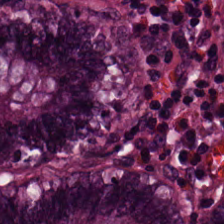Hematoxylin and eosin. Tissue type: normal colonic mucosa.
